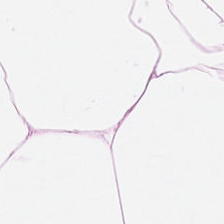H&E.
Showing adipose tissue.
